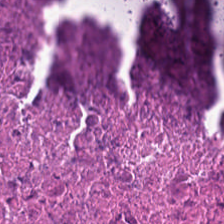H&E stain; WSI patch; FFPE. Q: What tissue type is shown here?
A: Debris.
